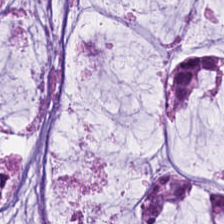H&E-stained section; the field shows extracellular mucin.
